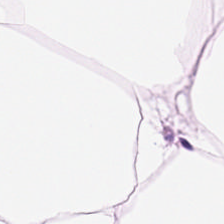The tissue type is adipose tissue.
